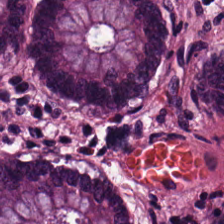WSI patch. FFPE tissue section. H&E. Tissue type: non-neoplastic colon mucosa.
